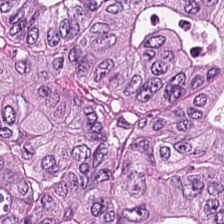H&E stain — The tissue here is colorectal adenocarcinoma.
